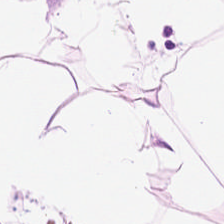Adipose tissue.
